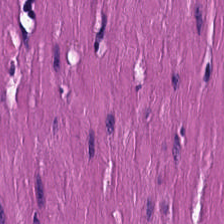Brightfield microscopy; hematoxylin-and-eosin stained section; FFPE.
Histology — muscularis.
